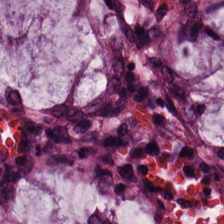224×224 px patch; hematoxylin-and-eosin stained section — Q: What tissue type is shown here?
A: The field shows non-neoplastic colon mucosa.
